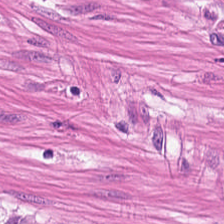Stain: H&E stain.
Predominant tissue: smooth-muscle tissue.
